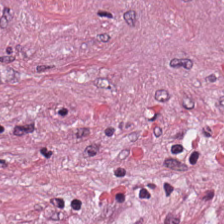Hematoxylin and eosin. Q: What is the predominant tissue type?
A: It is cancer-associated stroma.
